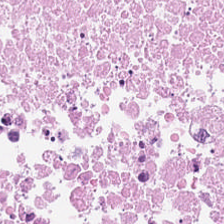Hematoxylin-and-eosin stained section. Formalin-fixed paraffin-embedded section. 0.5 µm per pixel — Q: What tissue type is shown here?
A: It is cellular debris.
